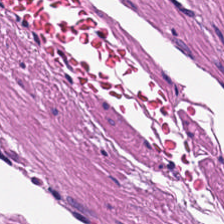H&E-stained tissue section · brightfield microscopy.
Showing smooth-muscle tissue.
